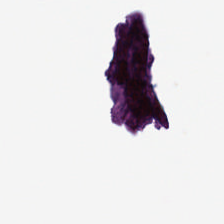No tissue present; background only.
